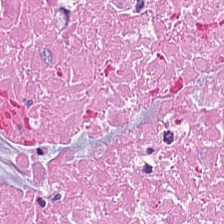Hematoxylin and eosin.
Impression — necrotic debris.
